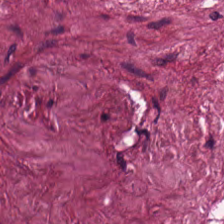Hematoxylin and eosin; 0.5 µm/px; 224×224 px tile. Histology — tumor stroma.
